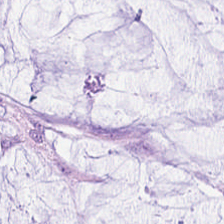Hematoxylin and eosin · 0.5 µm/px.
This patch shows extracellular mucin.
